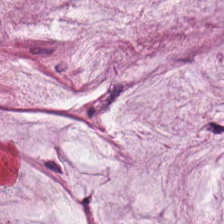H&E stain. 224×224 px patch. 0.5 µm per pixel.
Predominant tissue — mucin.
